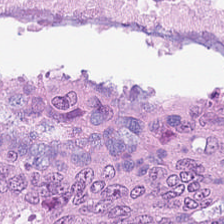This field is colorectal adenocarcinoma.
